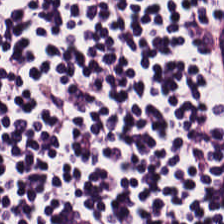H&E.
Classification: lymphoid infiltrate.
